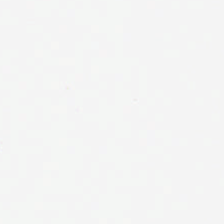Hematoxylin and eosin. Empty field — empty background.
